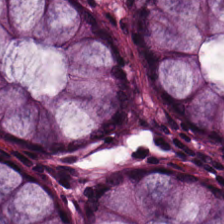The predominant tissue is benign colonic mucosa.
